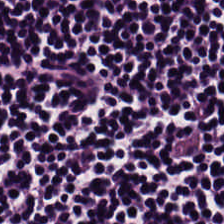H&E stain.
Classification = lymphocytes.
